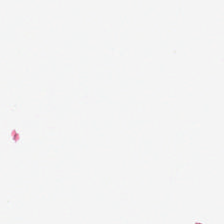Field content: background (no tissue).
